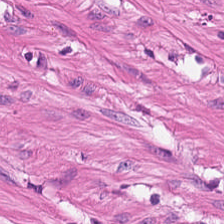H&E-stained tissue section.
{"tissue_type": "smooth muscle"}
